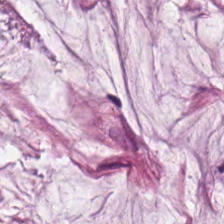Hematoxylin-and-eosin stained section; formalin-fixed paraffin-embedded section. The predominant tissue is extracellular mucin.
